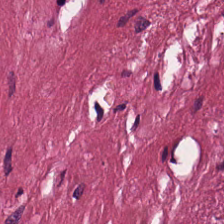H&E stain.
Tissue class — desmoplastic stroma.
